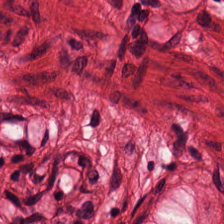Hematoxylin and eosin. 0.5 µm/px.
Predominantly smooth-muscle tissue.
